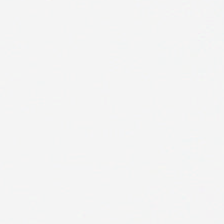H&E stain.
Histology — no tissue.
